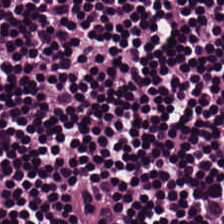H&E-stained tissue section.
Tissue class = lymphocytes.
